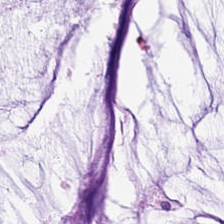H&E.
{"tissue_type": "mucin"}
